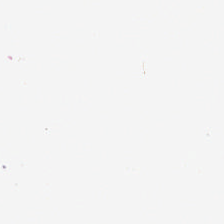Background — no tissue in this field.
